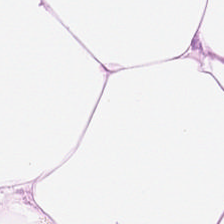Hematoxylin and eosin — Showing adipose tissue.
